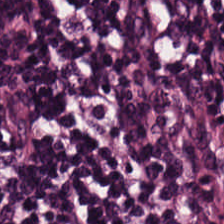224×224 pixel tile; H&E-stained tissue section.
This field is lymphocyte aggregate.
